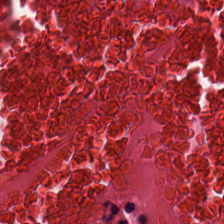Q: Classify this patch.
A: It is debris.
